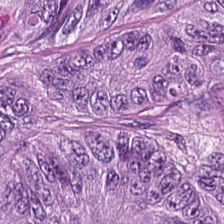H&E-stained tissue section showing tumor epithelium.
